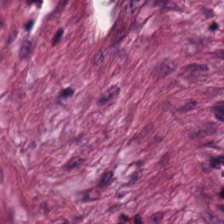Stain: H&E stain.
Resolution: 0.5 µm per pixel.
Classification: desmoplastic stroma.
